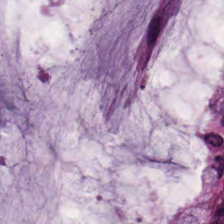FFPE tissue section · hematoxylin-and-eosin stained section.
The predominant tissue is mucin.
